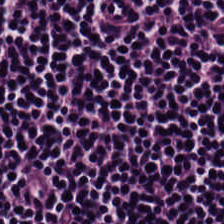H&E. Showing lymphocytic infiltrate.
